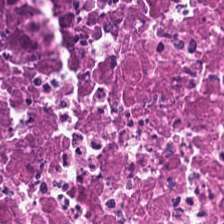Impression — necrotic debris.
